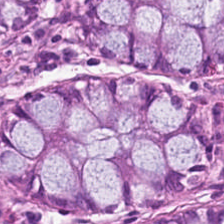Normal colonic mucosa.
